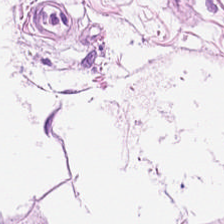H&E stain.
Showing fat tissue.
